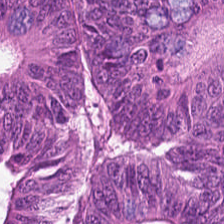0.5 µm/px. Formalin-fixed paraffin-embedded section. H&E stain — Q: What tissue type is shown here?
A: The field shows adenocarcinoma.
